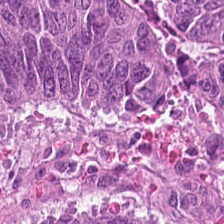Stain: H&E stain.
Acquisition: brightfield.
Tile size: 224×224 px tile.
Tissue class: tumor epithelium.
